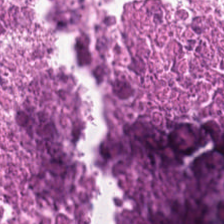Hematoxylin and eosin.
Impression → debris.
